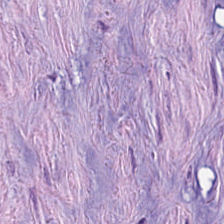Stain: H&E stain.
Tissue: cancer-associated stroma.
